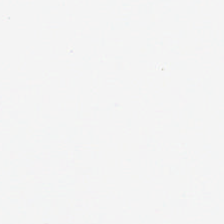20× equivalent magnification. H&E. Formalin-fixed paraffin-embedded section — The content is empty background.
